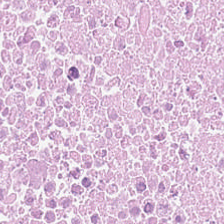Q: What does this patch show?
A: The field shows necrotic debris.
